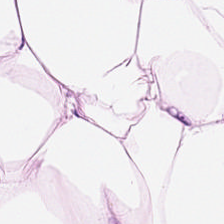Stain: H&E-stained tissue section.
Classification: fat tissue.
